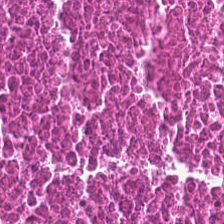Hematoxylin and eosin.
The predominant tissue is necrotic debris.
